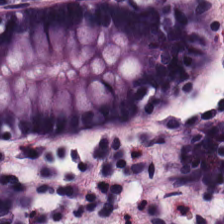Hematoxylin and eosin; formalin-fixed paraffin-embedded section — Showing normal colonic mucosa.
